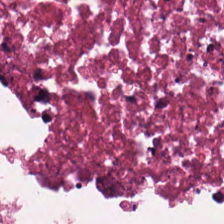Finding → cellular debris.
